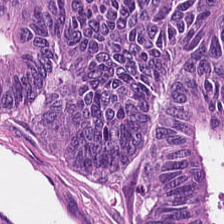H&E-stained tissue section. This patch shows colorectal adenocarcinoma epithelium.
